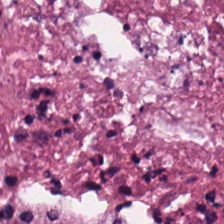Formalin-fixed paraffin-embedded section. H&E-stained tissue section — Showing cellular debris.
